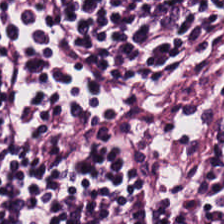Formalin-fixed paraffin-embedded section. H&E-stained tissue section — This field is lymphocyte aggregate.
